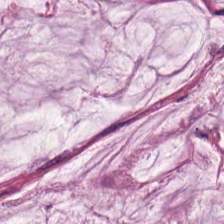H&E-stained tissue section showing mucin.
